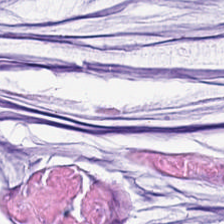0.5 microns per pixel · FFPE tissue section · H&E-stained tissue section — Q: What tissue is shown?
A: Mucus.
